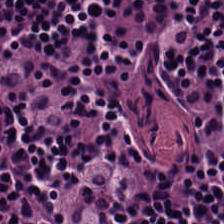H&E stain; formalin-fixed paraffin-embedded section.
Lymphocyte aggregate.
